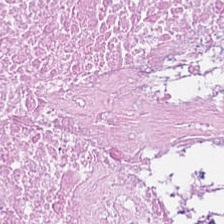Stain: H&E.
Acquisition: whole-slide-image patch.
Resolution: 0.5 microns per pixel.
Predominant tissue: cellular debris.
